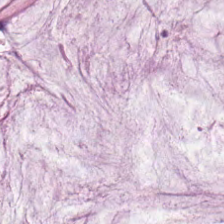0.5 µm/px. H&E-stained tissue section — The predominant tissue is mucin.
